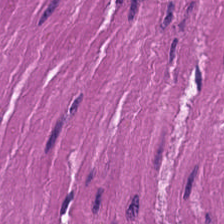0.5 microns per pixel. H&E-stained tissue section. WSI patch — Q: What is shown in this field?
A: Muscularis.
